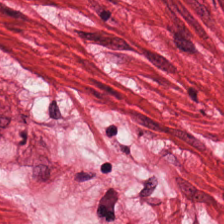H&E stain. 224×224 pixel tile. FFPE — Classification = muscularis.
